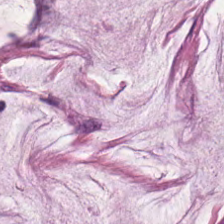Stain: hematoxylin and eosin.
Tissue class: mucin.
